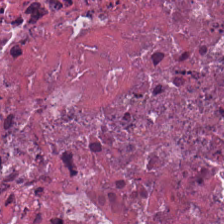224×224 px patch · hematoxylin-and-eosin stained section · WSI patch. Histology → necrotic debris.
